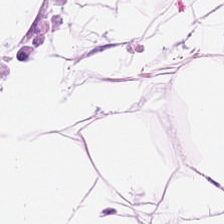Predominantly adipocytes.
